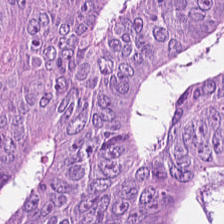H&E patch showing malignant epithelium.
